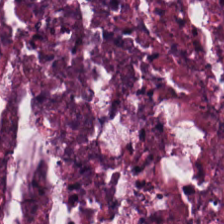H&E. The predominant tissue is necrotic debris.
